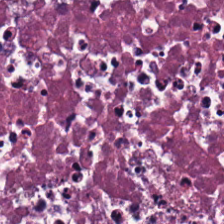H&E-stained tissue section. 224×224 px tile. Predominant tissue = debris.
